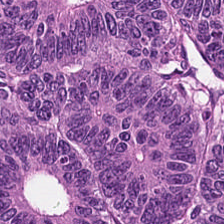Predominantly adenocarcinoma.
